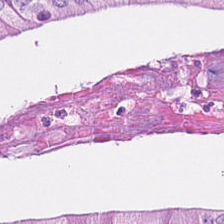224×224 px patch · hematoxylin-and-eosin stained section. This field is adenocarcinoma.
